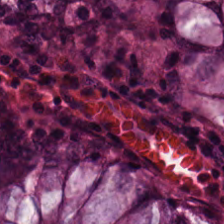H&E.
Predominant tissue — normal colon mucosa.
